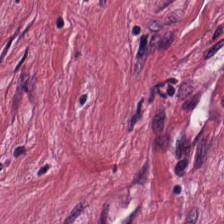Stain: H&E stain.
Classification: tumor-associated stroma.
